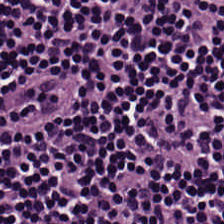Hematoxylin-and-eosin stained section.
Tissue class = lymphocytes.
